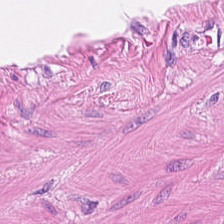WSI patch. H&E-stained tissue section.
Q: What type of tissue is this?
A: This is muscularis.
